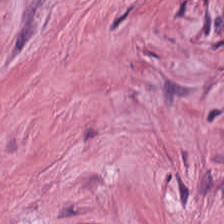Hematoxylin-and-eosin stained section — Tissue = tumor-associated stroma.
